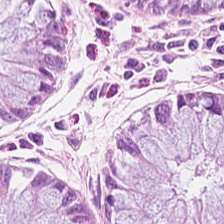H&E-stained tissue section. Tissue = benign colonic mucosa.
